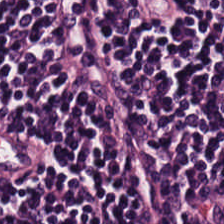Hematoxylin-and-eosin stained section.
Predominant tissue = lymphocyte aggregate.
